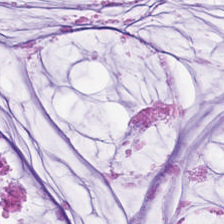Predominant tissue = extracellular mucin.
